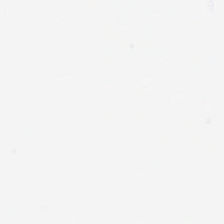Empty background.
